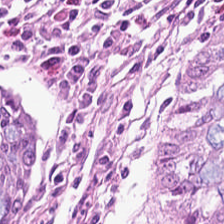Stain: hematoxylin and eosin.
Tissue type: benign colonic mucosa.
